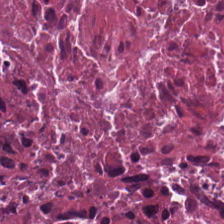H&E stain. 0.5 µm per pixel.
Predominant tissue: debris.
